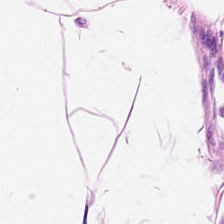H&E-stained section; the field shows adipocytes.
